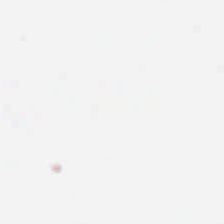Content: no tissue.
